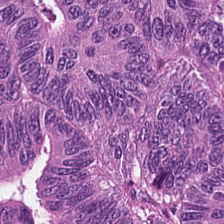Hematoxylin-and-eosin stained section.
The classification is colorectal adenocarcinoma.
